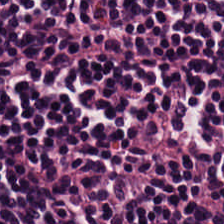Hematoxylin and eosin. This patch shows lymphocytic infiltrate.
